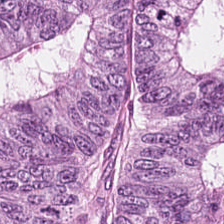Stain: hematoxylin-and-eosin stained section.
Resolution: 20× equivalent magnification.
Tile size: 224×224 px tile.
Tissue type: tumor epithelium.
